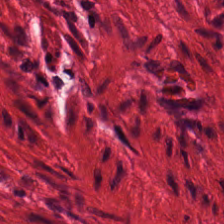Finding — muscularis.
